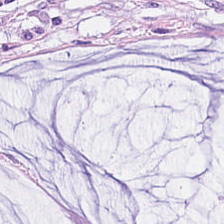Brightfield · 224×224 px patch · hematoxylin and eosin. Q: What does this patch show?
A: The field shows extracellular mucin.
